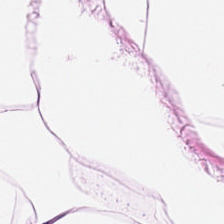Stain: H&E-stained tissue section.
Predominant tissue: adipose tissue.
